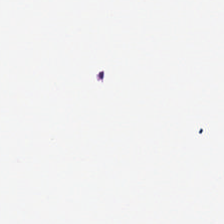20× equivalent magnification · hematoxylin-and-eosin stained section · FFPE tissue section. Q: What is shown in this field?
A: The field shows background (no tissue).
